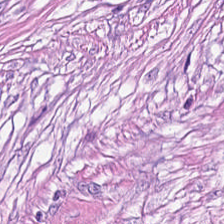H&E; 0.5 µm per pixel. The classification is cancer-associated stroma.
